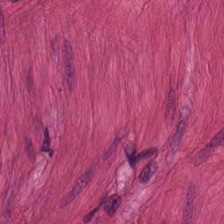Formalin-fixed paraffin-embedded section; 0.5 µm/px; H&E stain.
Showing muscularis.
